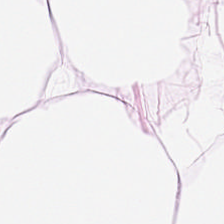224×224 px tile · hematoxylin-and-eosin stained section — Predominantly adipose tissue.
